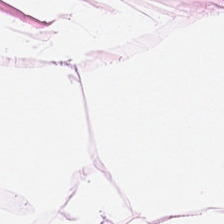Stain: H&E stain.
Resolution: 0.5 µm per pixel.
Tissue type: adipose.
